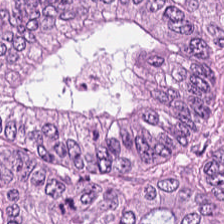Impression — malignant epithelium.
